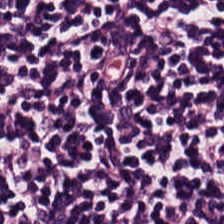0.5 µm per pixel. H&E stain. FFPE tissue section. Lymphocytes.
